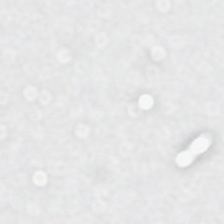Classification: background (no tissue).
